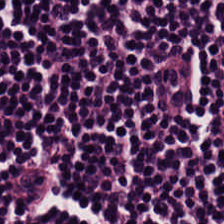Stain: hematoxylin-and-eosin stained section.
Predominant tissue: lymphocytic infiltrate.
